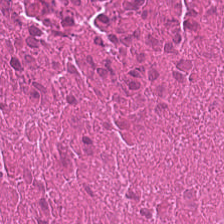H&E stain · 224×224 pixel tile. Q: What is shown here?
A: The field shows necrotic debris.
